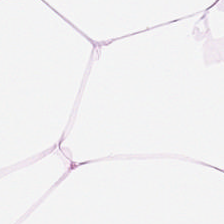H&E-stained tissue section.
The classification is fat tissue.
